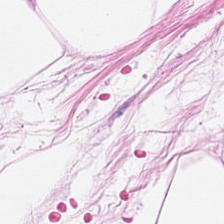The classification is fat tissue.
